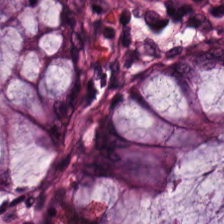Hematoxylin-and-eosin stained section.
Q: What tissue type is shown here?
A: It is non-neoplastic colon mucosa.
